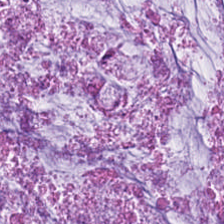Hematoxylin-and-eosin stained section — Histology → mucin.
